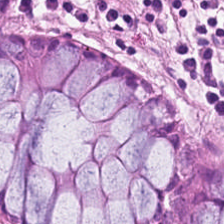Q: What is the predominant tissue type?
A: It is benign colonic mucosa.
